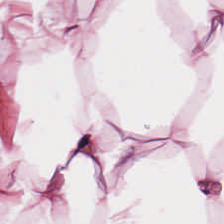Hematoxylin and eosin.
Finding → adipose.
